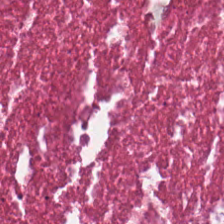This field is debris.
